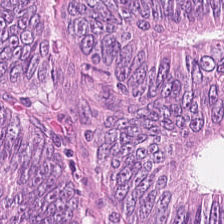Q: What is shown in this field?
A: This is malignant epithelium.
